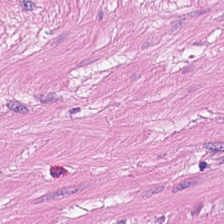H&E-stained tissue section showing muscularis.
